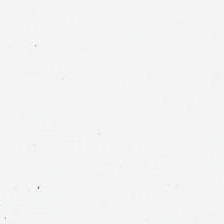224×224 px tile; hematoxylin-and-eosin stained section; 0.5 µm/px — Content: empty background.
